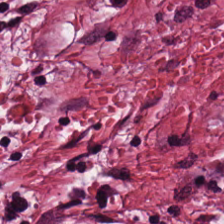224×224 px tile. WSI patch. H&E stain — The predominant tissue is tumor stroma.
